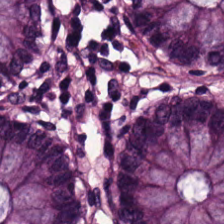This field is benign colonic mucosa.
